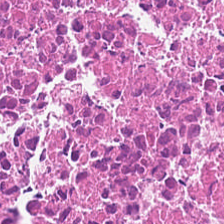Stain: H&E stain.
Tile size: 224×224 px tile.
Resolution: 0.5 µm per pixel.
Tissue: cellular debris.
